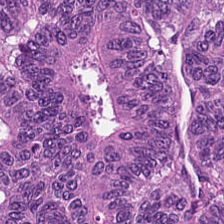{"tissue_type": "adenocarcinoma"}
